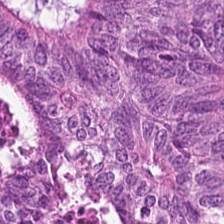Hematoxylin-and-eosin stained section. {"tissue_type": "malignant epithelium"}
